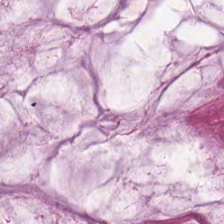Hematoxylin-and-eosin stained section. Showing mucin.
